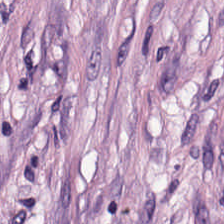Stain: H&E stain.
Tissue class: cancer-associated stroma.
